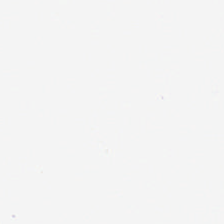H&E stain. No tissue present; background only.
